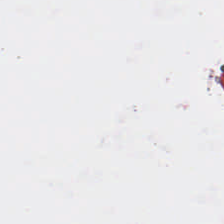Whole-slide-image patch. Hematoxylin and eosin. Q: What is shown in this field?
A: It is empty background.
